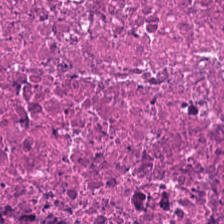H&E.
Predominant tissue: necrotic debris.
